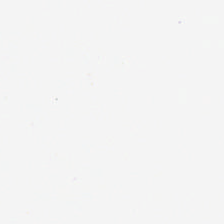Q: What is shown in this field?
A: The field shows no tissue.
